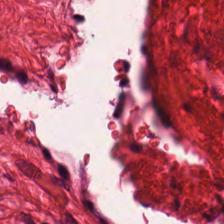Stain: H&E.
Tissue type: smooth muscle.
